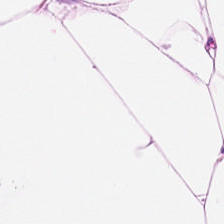H&E stain — Adipocytes.
